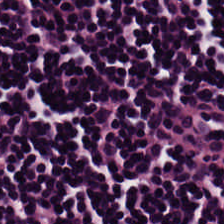H&E stain; 224×224 pixel tile; FFPE.
Histology → lymphocytes.
